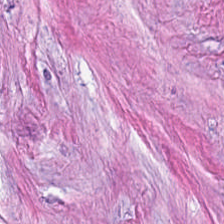Formalin-fixed paraffin-embedded section · hematoxylin and eosin. Q: What tissue is shown?
A: This is tumor-associated stroma.
